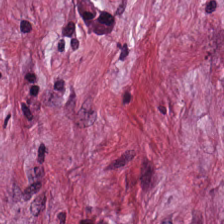Stain: H&E-stained tissue section.
Tile size: 224×224 pixel tile.
Resolution: 0.5 microns per pixel.
Tissue: cancer-associated stroma.
